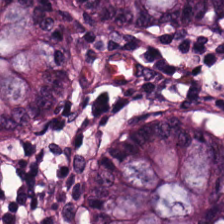H&E · formalin-fixed paraffin-embedded section.
{"tissue_type": "normal colonic mucosa"}
